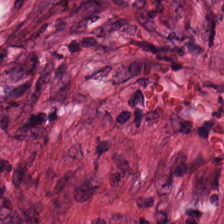H&E stain — Predominantly tumor stroma.
